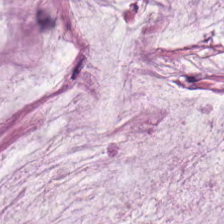Brightfield microscopy; H&E stain. Q: What is shown here?
A: This is extracellular mucin.
